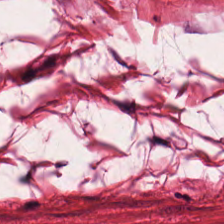{"tissue_type": "smooth muscle"}
